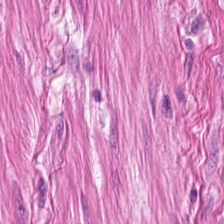H&E-stained tissue section.
This field is smooth-muscle tissue.
